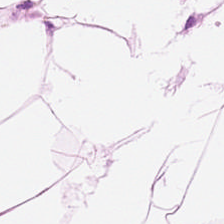Adipocytes.
